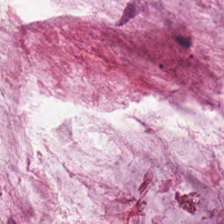Q: What tissue type is shown here?
A: This is extracellular mucin.
